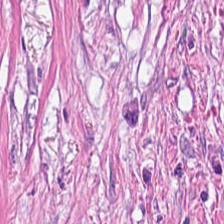H&E-stained tissue section. FFPE tissue section. 0.5 µm per pixel.
Q: What is shown in this field?
A: Tumor-associated stroma.
